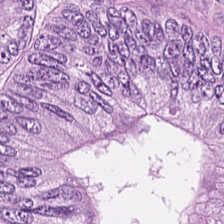H&E-stained tissue section; formalin-fixed paraffin-embedded section; 224×224 px tile — The predominant tissue is colorectal adenocarcinoma epithelium.
